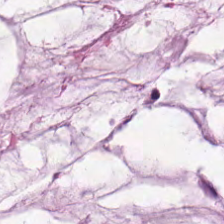H&E — Predominant tissue — extracellular mucin.
